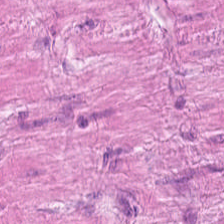H&E — The tissue here is muscularis.
